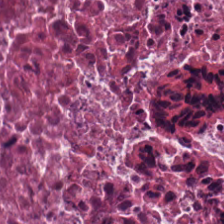This field is necrotic debris.
